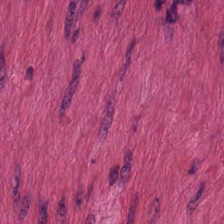H&E stain. Formalin-fixed paraffin-embedded section.
Predominant tissue — muscularis.
